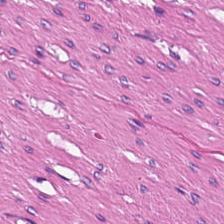H&E stain. The tissue is smooth muscle.
